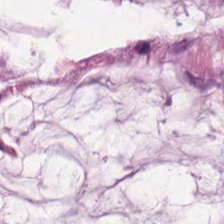Stain: hematoxylin-and-eosin stained section.
Tissue type: mucin.
